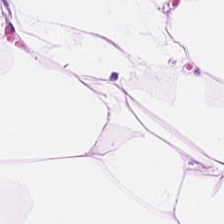Finding — fat tissue.
